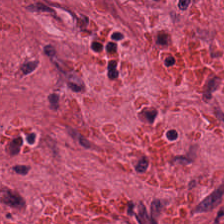224×224 px tile. H&E stain — This field is tumor stroma.
